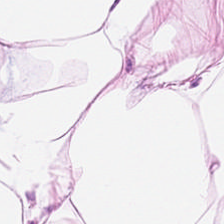Hematoxylin and eosin; 0.5 µm per pixel.
Q: Classify this patch.
A: Adipose.
